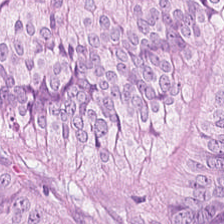H&E.
This patch shows malignant epithelium.
